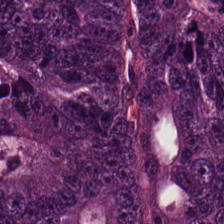224×224 pixel tile. Brightfield. Hematoxylin and eosin. {"tissue_type": "adenocarcinoma"}
